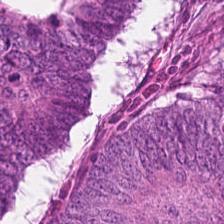Hematoxylin-and-eosin stained section. Finding — colorectal adenocarcinoma.
